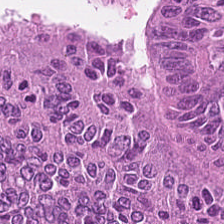Stain: H&E-stained tissue section.
Preparation: FFPE tissue section.
Acquisition: brightfield microscopy.
Tissue class: colorectal adenocarcinoma epithelium.
